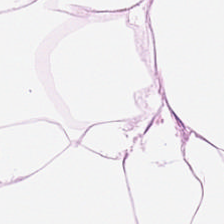H&E stain — Predominantly adipose.
